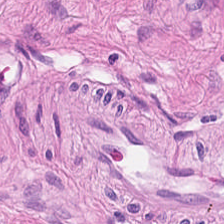H&E. Formalin-fixed paraffin-embedded section. {"tissue_type": "muscularis"}
